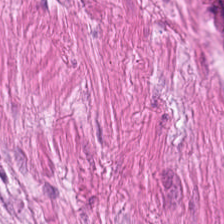{"tissue_type": "muscularis"}
